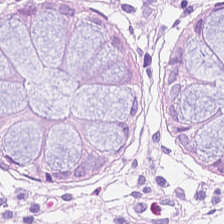20× equivalent magnification · hematoxylin and eosin — Q: Identify the tissue.
A: The field shows non-neoplastic colon mucosa.
